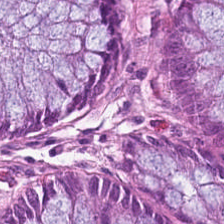H&E — Normal colonic mucosa.
